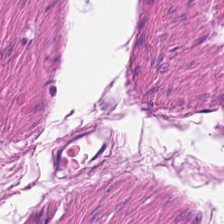Hematoxylin and eosin. Brightfield. Tissue = muscularis.
